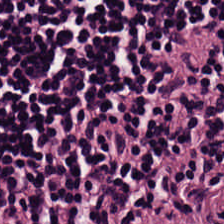224×224 px tile · H&E-stained tissue section · 0.5 µm per pixel.
Q: What is the predominant tissue type?
A: It is lymphoid infiltrate.
